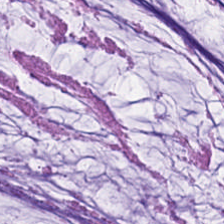Stain: hematoxylin and eosin.
Tissue type: mucus.
